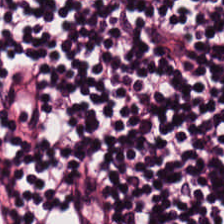Classification — lymphocytes.
